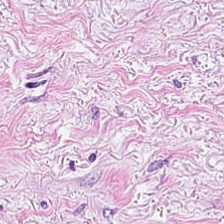Hematoxylin-and-eosin stained section.
The tissue type is tumor stroma.
